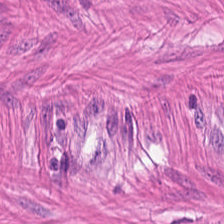This field is muscularis.
